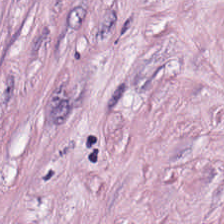H&E-stained tissue section. Whole-slide-image patch. Q: Identify the tissue.
A: Cancer-associated stroma.
